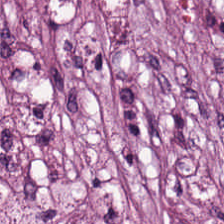H&E.
Tissue: cancer-associated stroma.
